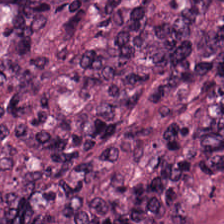H&E-stained tissue section · brightfield microscopy · FFPE tissue section.
Showing adenocarcinoma.
